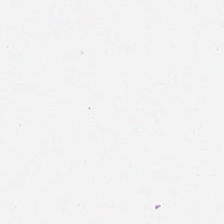H&E-stained tissue section — Empty field — background (no tissue).
